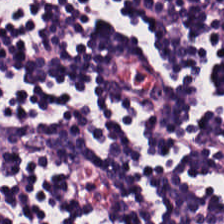Hematoxylin and eosin; brightfield microscopy. Showing lymphocytes.
